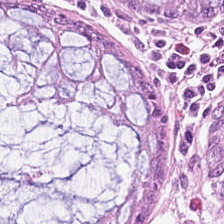Stain: H&E stain.
Resolution: 0.5 µm/px.
Predominant tissue: non-neoplastic colon mucosa.
